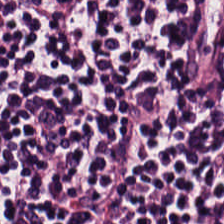Hematoxylin-and-eosin stained section. This patch shows lymphocyte aggregate.
